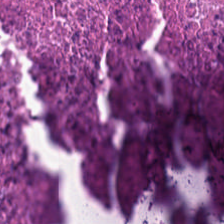This field is cellular debris.
